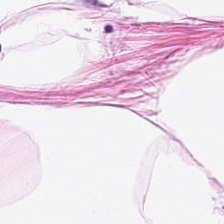The predominant tissue is adipose.
